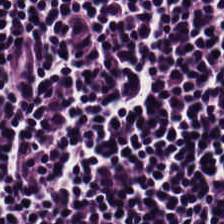H&E.
Classification: lymphocyte aggregate.
